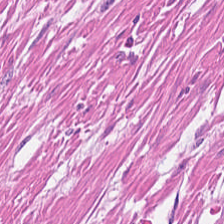Smooth-muscle tissue.
